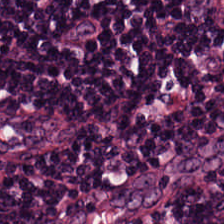20× equivalent magnification; H&E-stained tissue section.
The predominant tissue is lymphocytes.
